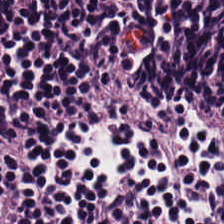Hematoxylin-and-eosin stained section; FFPE — Tissue: lymphocyte aggregate.
